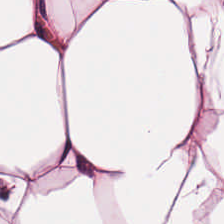H&E.
The classification is adipocytes.
